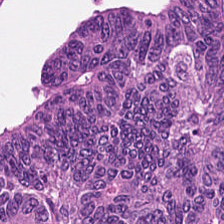WSI patch. H&E stain. Predominantly adenocarcinoma.
